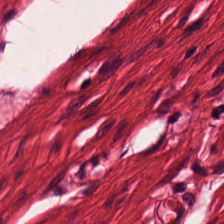Whole-slide-image patch; hematoxylin and eosin; 224×224 px tile — Impression — smooth muscle.
